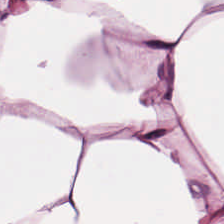FFPE. H&E stain.
Q: What is shown here?
A: This is fat tissue.
